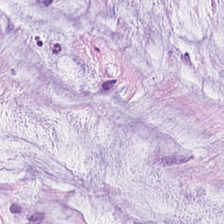0.5 µm/px. H&E-stained tissue section. Brightfield.
Tissue class = mucus.
